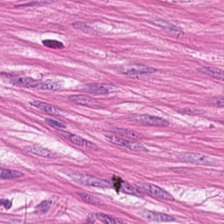Hematoxylin and eosin — This patch shows smooth-muscle tissue.
